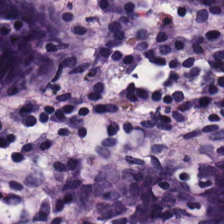Q: Identify the tissue.
A: It is normal colon mucosa.
